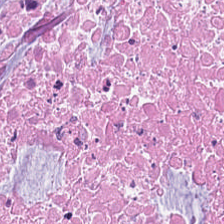H&E-stained tissue section — The classification is necrotic debris.
